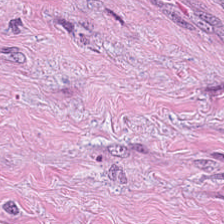Hematoxylin-and-eosin stained section. The predominant tissue is tumor-associated stroma.
